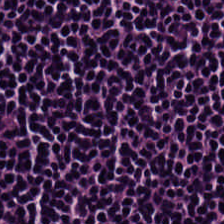H&E stain. 224×224 pixel tile. 0.5 µm/px — This field is lymphoid infiltrate.
